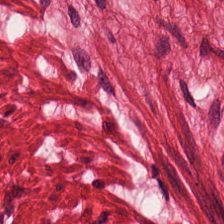H&E-stained tissue section. Q: What is shown here?
A: The field shows smooth-muscle tissue.
